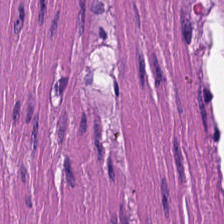H&E patch showing smooth muscle.
